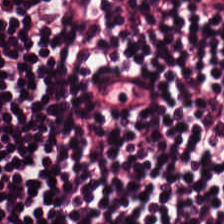Hematoxylin-and-eosin stained section.
The predominant tissue is lymphoid infiltrate.
